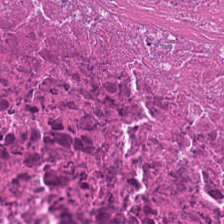Hematoxylin-and-eosin stained section — This patch shows necrotic debris.
